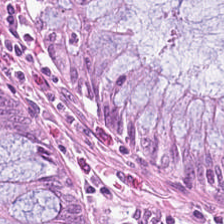Hematoxylin and eosin — Tissue = benign colonic mucosa.
